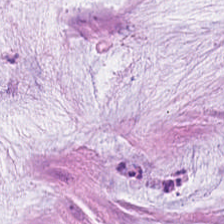H&E-stained tissue section showing extracellular mucin.
